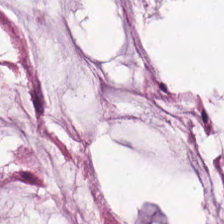WSI patch · H&E stain.
Showing extracellular mucin.
